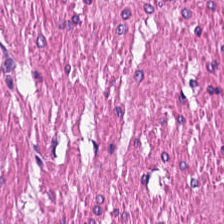Q: What tissue type is shown here?
A: Smooth-muscle tissue.
